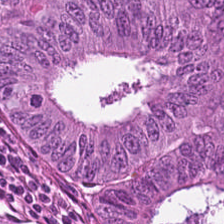H&E — colorectal adenocarcinoma.
